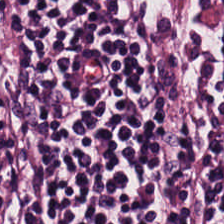FFPE. H&E stain.
The predominant tissue is lymphocytes.
